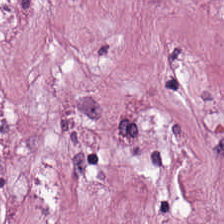Hematoxylin-and-eosin stained section. The tissue here is desmoplastic stroma.
